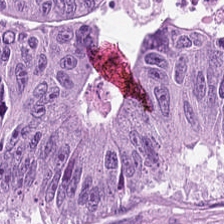Q: What tissue is shown?
A: It is adenocarcinoma.
